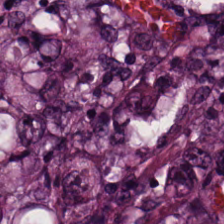Q: What is shown here?
A: The field shows tumor epithelium.
